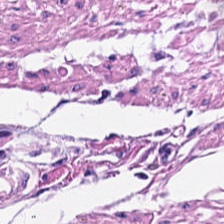Tissue type = smooth-muscle tissue.
